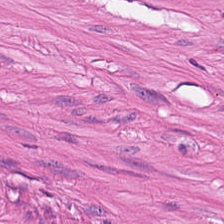The tissue class is muscularis.
